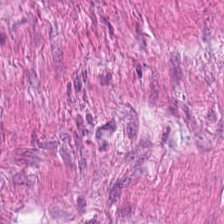H&E — smooth-muscle tissue.
